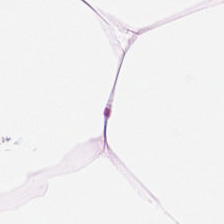Impression → adipocytes.
